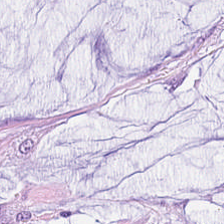Stain: hematoxylin and eosin.
Tissue: extracellular mucin.
